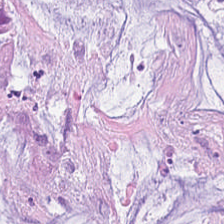Hematoxylin-and-eosin stained section · 224×224 px tile — Finding → mucin.
